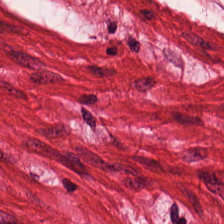Histology → muscularis.
